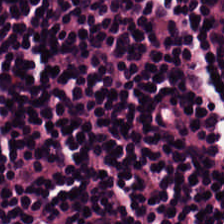H&E stain — {"tissue_type": "lymphocytes"}
